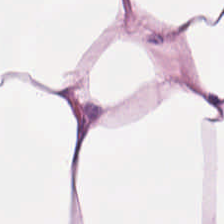H&E-stained tissue section — Finding — adipocytes.
